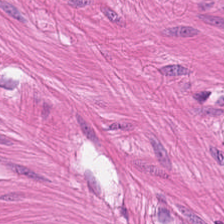224×224 px patch · hematoxylin and eosin. Smooth-muscle tissue.
